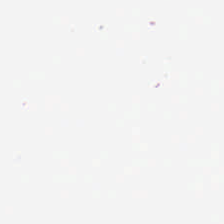Q: What is shown here?
A: It is no tissue.
